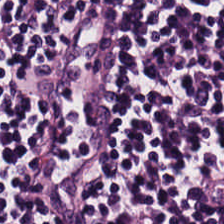224×224 px tile; H&E; 0.5 microns per pixel.
The predominant tissue is lymphocytes.
